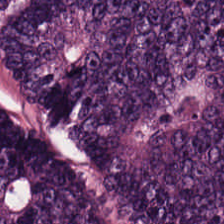224×224 px tile. H&E stain.
Showing adenocarcinoma.
